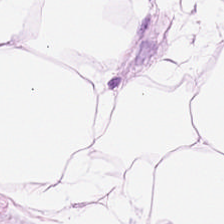Hematoxylin and eosin.
Fat tissue.
